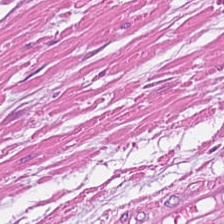Hematoxylin-and-eosin stained section. Predominantly smooth-muscle tissue.
